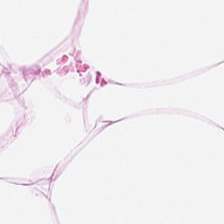Brightfield. H&E-stained tissue section.
The tissue class is adipose.
